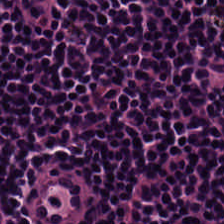H&E stain · WSI patch · 0.5 µm per pixel — This field is lymphocytes.
